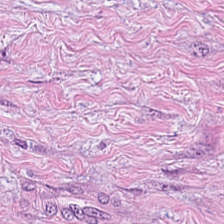Hematoxylin-and-eosin stained section; 0.5 µm per pixel — Q: What is shown here?
A: Tumor stroma.
